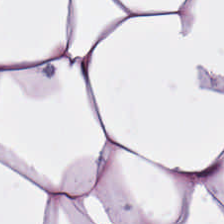H&E-stained tissue section showing adipocytes.
